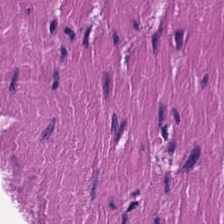H&E stain.
Q: What is the predominant tissue type?
A: It is muscularis.
